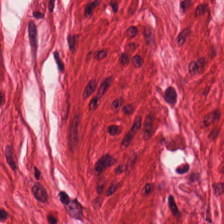Hematoxylin and eosin. Brightfield. FFPE tissue section. Predominant tissue — smooth-muscle tissue.
